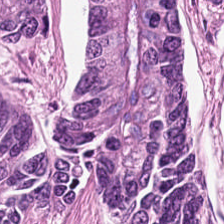0.5 microns per pixel. FFPE. H&E stain — Adenocarcinoma.
